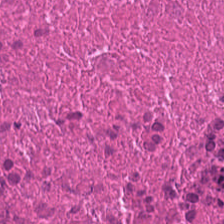Stain: hematoxylin and eosin.
Classification: debris.
